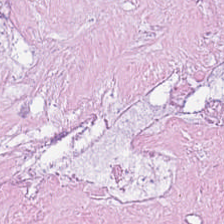H&E patch showing debris.
